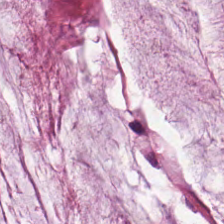Hematoxylin-and-eosin stained section.
Tissue type: mucin.
